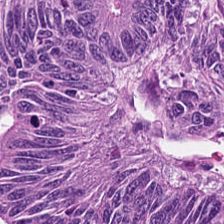Hematoxylin and eosin — The predominant tissue is malignant epithelium.
